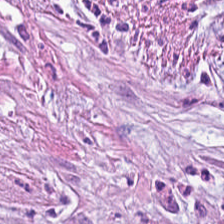224×224 px patch · H&E.
Predominantly desmoplastic stroma.
